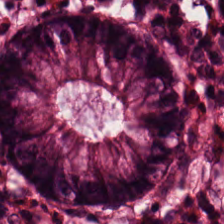Hematoxylin-and-eosin stained section. 224×224 px tile — Tissue: normal colonic mucosa.
